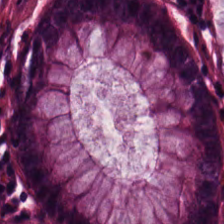H&E-stained tissue section · formalin-fixed paraffin-embedded section. This patch shows normal colon mucosa.
